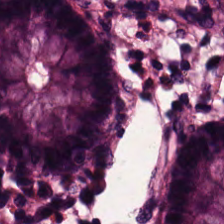WSI patch; H&E-stained tissue section.
The tissue type is normal colon mucosa.
